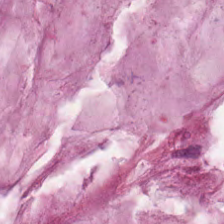Stain: hematoxylin-and-eosin stained section.
Resolution: 0.5 µm/px.
Classification: mucin.
